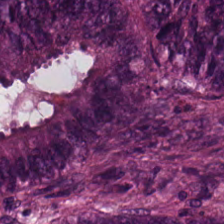Hematoxylin and eosin · 224×224 px patch. This field is adenocarcinoma.
